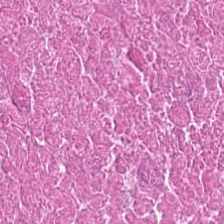Q: What is the predominant tissue type?
A: It is debris.
